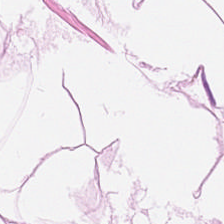H&E-stained tissue section — The tissue type is adipose.
